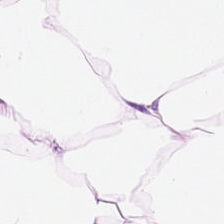H&E-stained tissue section. 0.5 microns per pixel. Predominantly fat tissue.
